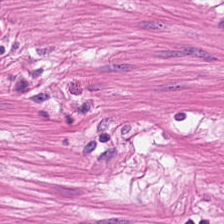H&E stain — The classification is smooth muscle.
